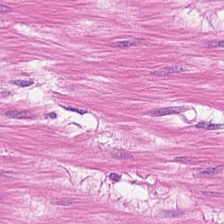Stain: H&E.
Tissue: smooth-muscle tissue.
